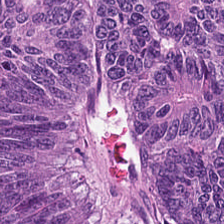20× equivalent magnification. H&E. 224×224 pixel tile.
Predominantly tumor epithelium.
